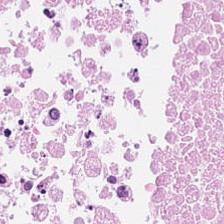WSI patch. 0.5 µm per pixel. Hematoxylin-and-eosin stained section. Impression — necrotic debris.
